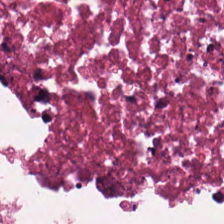0.5 µm/px; 224×224 px patch; H&E-stained tissue section. Classification = cellular debris.
